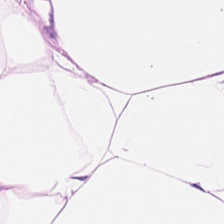Hematoxylin-and-eosin stained section.
This field is fat tissue.
